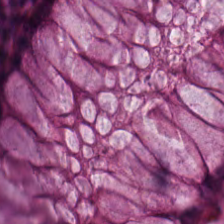224×224 px tile; hematoxylin-and-eosin stained section — Showing normal colonic mucosa.
